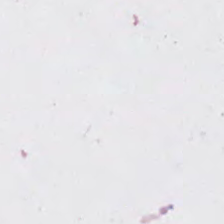H&E-stained tissue section.
Q: What is shown here?
A: This is empty background.
